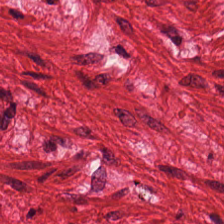Stain: H&E-stained tissue section.
Resolution: 0.5 µm per pixel.
Predominant tissue: smooth-muscle tissue.
